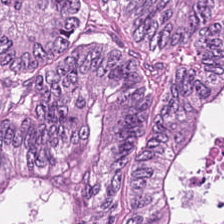Hematoxylin-and-eosin section: colorectal adenocarcinoma.
